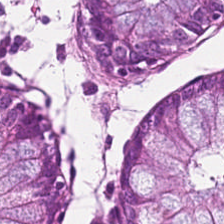Stain: H&E.
Tissue class: normal colon mucosa.
